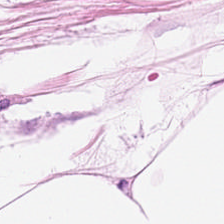Stain: hematoxylin-and-eosin stained section.
Tissue type: fat tissue.
